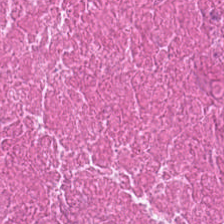H&E stain. Q: Classify this patch.
A: This is necrotic debris.
